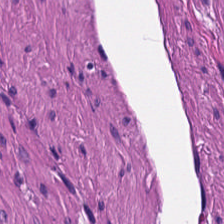Stain: hematoxylin and eosin.
Tissue class: smooth-muscle tissue.
